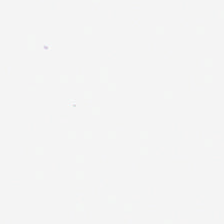224×224 px tile. Hematoxylin and eosin — Empty field — no tissue.
